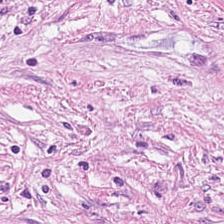Hematoxylin-and-eosin stained section. 20× equivalent magnification.
Showing tumor stroma.
